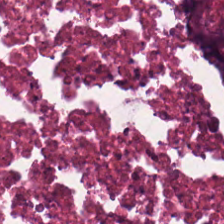H&E. Predominantly debris.
